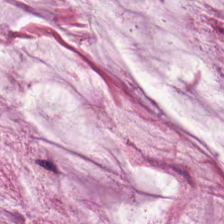H&E-stained tissue section — Q: What is the predominant tissue type?
A: The field shows mucin.
